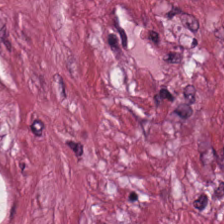H&E stain.
Q: What is shown here?
A: This is tumor stroma.
